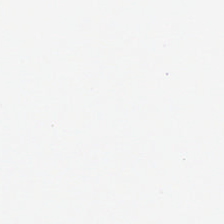Brightfield microscopy · H&E-stained tissue section.
Finding → background (no tissue).
